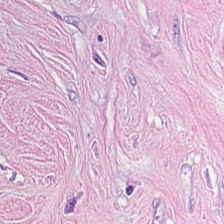H&E. This field is tumor stroma.
